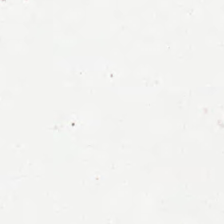Hematoxylin-and-eosin stained section. Classification: background (no tissue).
